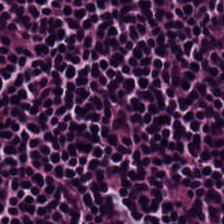Stain: hematoxylin-and-eosin stained section.
Classification: lymphocyte aggregate.
